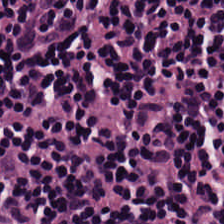{"tissue_type": "lymphocytes"}
